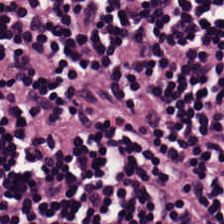224×224 pixel tile. Hematoxylin-and-eosin stained section. 0.5 µm per pixel — The tissue is lymphocyte aggregate.
